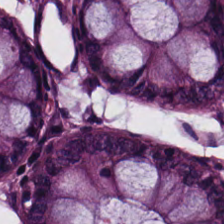The predominant tissue is benign colonic mucosa.
